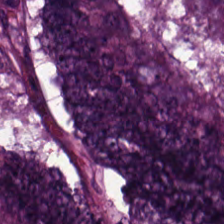Stain: H&E stain.
Tissue: malignant epithelium.
